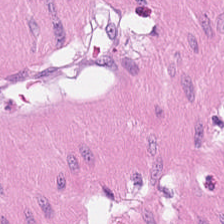Q: What type of tissue is this?
A: Smooth-muscle tissue.
